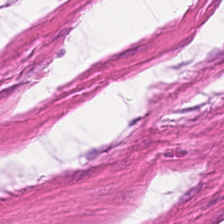H&E-stained tissue section — Q: What does this patch show?
A: This is muscularis.
